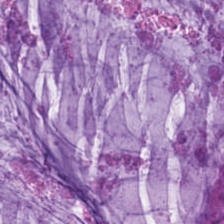Hematoxylin-and-eosin stained section.
Impression → mucin.
